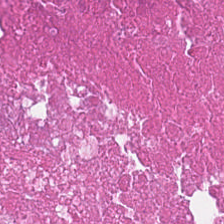This patch shows necrotic debris.
